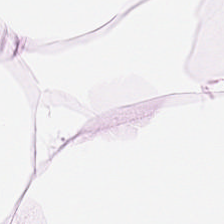Impression — fat tissue.
